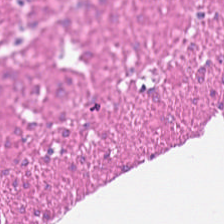H&E stain — Tissue type = muscularis.
